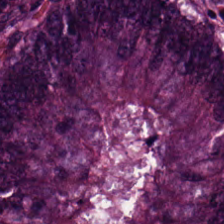Malignant epithelium.
